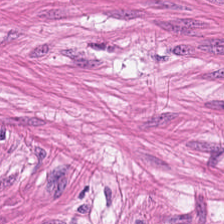The tissue is muscularis.
